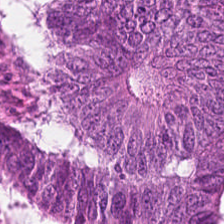H&E stain.
The predominant tissue is colorectal adenocarcinoma epithelium.
